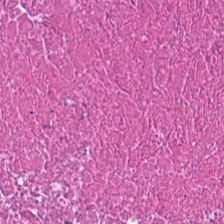Q: What does this patch show?
A: This is necrotic debris.
